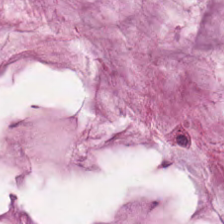Brightfield microscopy. H&E-stained tissue section — This field is mucus.
